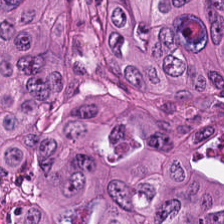H&E. Showing malignant epithelium.
